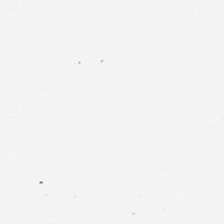Background (no tissue).
